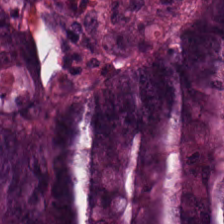Hematoxylin and eosin · FFPE tissue section — Showing tumor epithelium.
